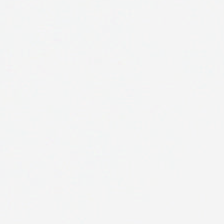FFPE. 0.5 µm per pixel. H&E-stained tissue section. Field content — background (no tissue).
